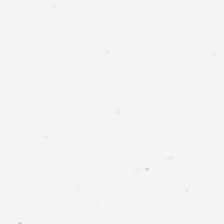H&E.
Q: What does this patch show?
A: It is background (no tissue).
